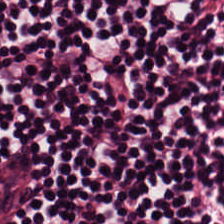Hematoxylin and eosin; 224×224 pixel tile — This patch shows lymphocytes.
